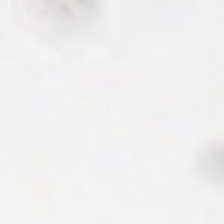The field content is background.
